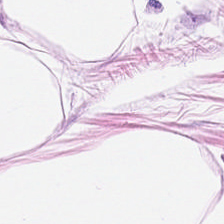Finding → adipose tissue.
